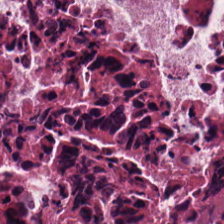Hematoxylin and eosin — The predominant tissue is cellular debris.
